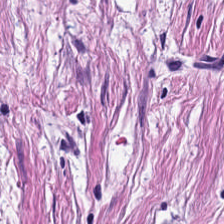Whole-slide-image patch; hematoxylin and eosin. Q: What tissue is shown?
A: Tumor-associated stroma.
